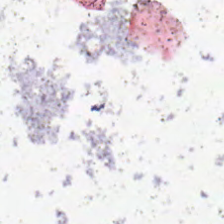Hematoxylin-and-eosin stained section.
The field content is background (no tissue).
